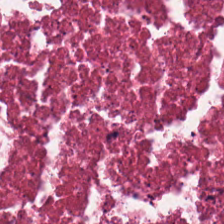Stain: H&E.
Acquisition: brightfield microscopy.
Resolution: 0.5 microns per pixel.
Classification: cellular debris.
